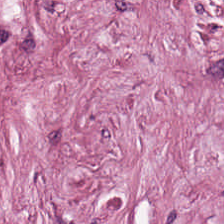0.5 microns per pixel · H&E stain. Predominant tissue: cancer-associated stroma.
